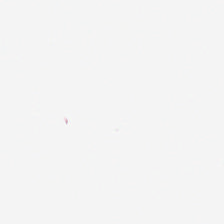H&E. Whole-slide-image patch.
The field content is no tissue.
